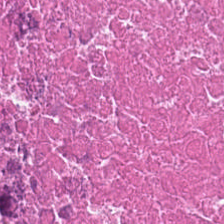H&E — debris.
